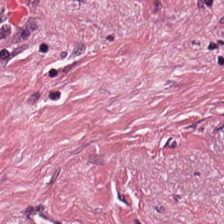Hematoxylin and eosin.
This patch shows tumor stroma.
